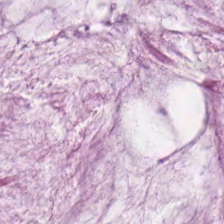H&E stain · brightfield microscopy · FFPE tissue section. Tissue = mucus.
